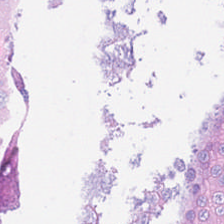224×224 px patch. H&E-stained tissue section — The predominant tissue is colorectal adenocarcinoma epithelium.
